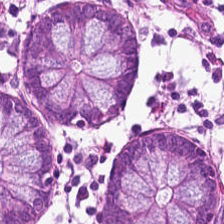0.5 µm/px · H&E — Predominant tissue — normal colonic mucosa.
